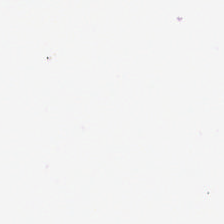Stain: hematoxylin and eosin.
Field content: empty background.
